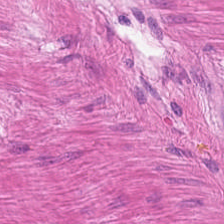H&E stain. 224×224 px tile. FFPE — Tissue type = smooth muscle.
